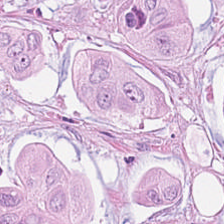Formalin-fixed paraffin-embedded section · H&E-stained tissue section · 224×224 px tile.
Showing malignant epithelium.
